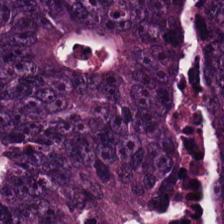Hematoxylin-and-eosin stained section · FFPE · 0.5 µm per pixel — {"tissue_type": "colorectal adenocarcinoma epithelium"}
